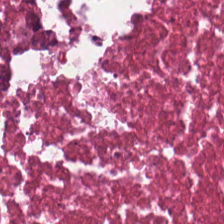H&E; 0.5 µm/px; brightfield microscopy — Tissue type: cellular debris.
